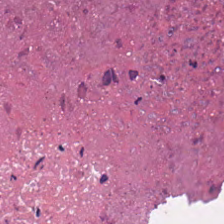Stain: H&E-stained tissue section.
Classification: necrotic debris.
